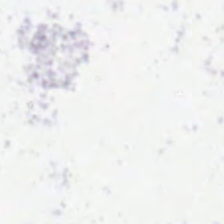Stain: hematoxylin and eosin.
Content: no tissue.
